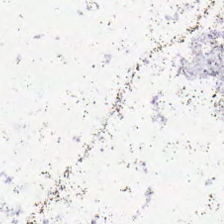0.5 µm/px · hematoxylin and eosin. Field content: empty background.
